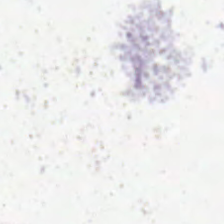H&E — Q: What does this patch show?
A: The field shows background (no tissue).
